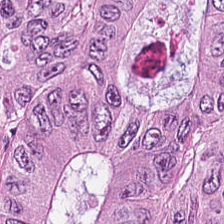Hematoxylin and eosin — Tissue type = tumor epithelium.
